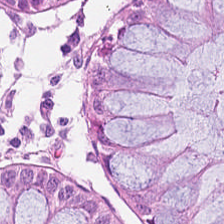Stain: H&E-stained tissue section.
Resolution: 20× equivalent magnification.
Tissue: normal colon mucosa.
